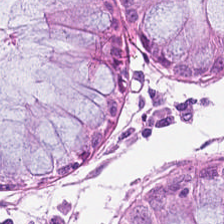H&E stain.
Histology — non-neoplastic colon mucosa.
